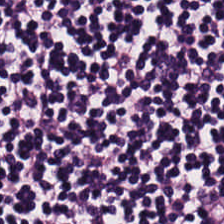20× equivalent magnification. Hematoxylin-and-eosin stained section. FFPE — This patch shows lymphocytes.
